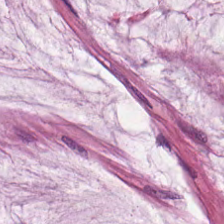FFPE tissue section · H&E — This patch shows mucin.
